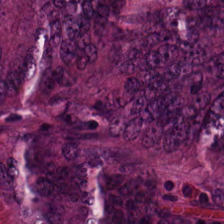H&E-stained tissue section. Showing colorectal adenocarcinoma.
